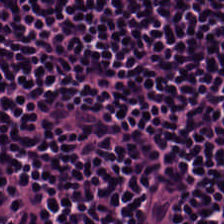224×224 pixel tile; H&E stain.
Tissue: lymphoid infiltrate.
